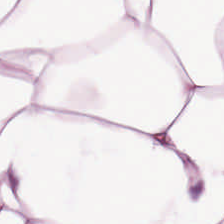Stain: H&E-stained tissue section.
Tissue: adipose.
